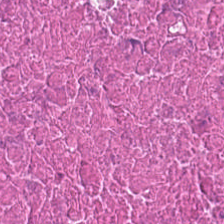H&E.
Impression → cellular debris.
